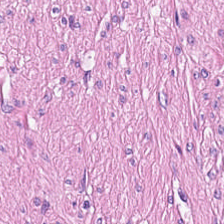This field is muscularis.
